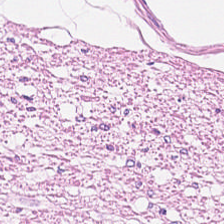Predominant tissue: muscularis.
